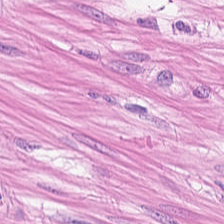H&E-stained tissue section.
Q: What does this patch show?
A: This is smooth-muscle tissue.
